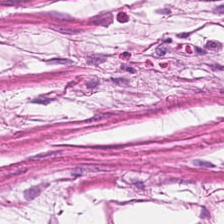H&E-stained tissue section. Brightfield.
Showing smooth-muscle tissue.
